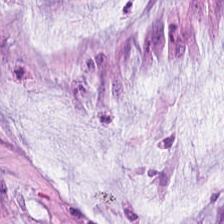Predominantly mucus.
